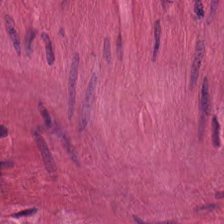Stain: hematoxylin and eosin.
Tissue class: smooth muscle.
